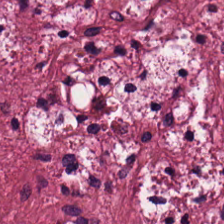WSI patch · hematoxylin-and-eosin stained section — Q: What tissue is shown?
A: This is desmoplastic stroma.
